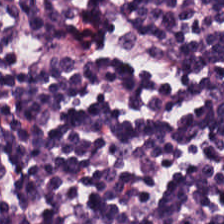224×224 px patch. Hematoxylin-and-eosin stained section — Predominant tissue — lymphoid infiltrate.
